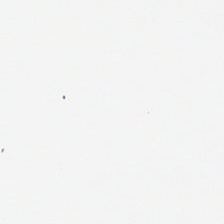H&E-stained tissue section — Content: no tissue.
